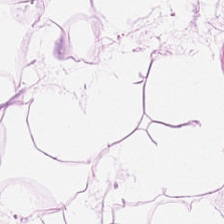Classification: fat tissue.
